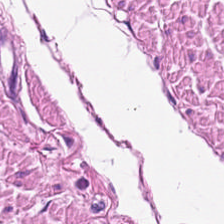H&E stain. Q: What is shown in this field?
A: It is smooth muscle.
